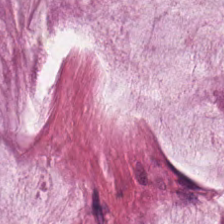Hematoxylin-and-eosin stained section — Finding → extracellular mucin.
